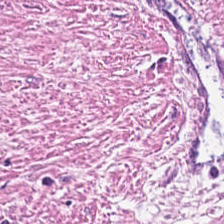224×224 pixel tile. Whole-slide-image patch. H&E-stained tissue section — Showing tumor stroma.
